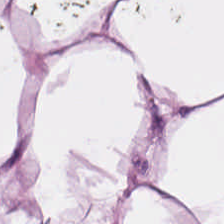Hematoxylin-and-eosin stained section.
Fat tissue.
